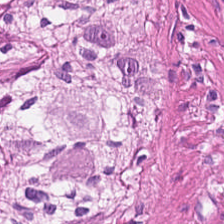Brightfield. Hematoxylin and eosin. 20× equivalent magnification — {"tissue_type": "smooth muscle"}
